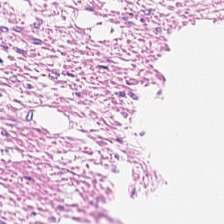H&E. Q: Classify this patch.
A: This is muscularis.
